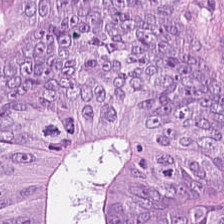Stain: H&E-stained tissue section.
Tissue type: tumor epithelium.
